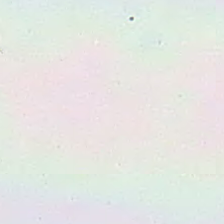Brightfield microscopy · hematoxylin and eosin · FFPE.
Q: Classify this patch.
A: The field shows empty background.
